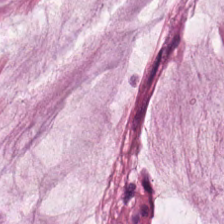224×224 pixel tile; H&E-stained tissue section.
Q: What is the predominant tissue type?
A: It is extracellular mucin.
